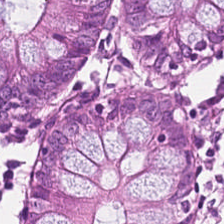H&E. Formalin-fixed paraffin-embedded section.
Tissue: normal colon mucosa.
